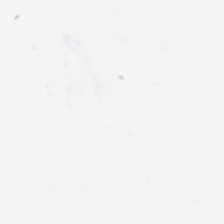{"content": "background"}
